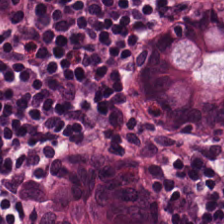224×224 px tile. Hematoxylin-and-eosin stained section.
Predominant tissue — normal colon mucosa.
